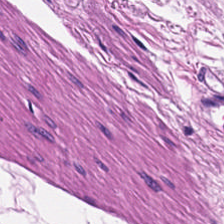224×224 px patch. Whole-slide-image patch. Hematoxylin and eosin.
The tissue here is muscularis.
